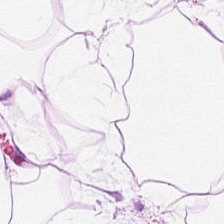FFPE; H&E-stained tissue section; 0.5 microns per pixel.
Impression — fat tissue.
